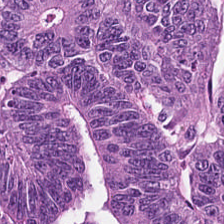H&E.
{"tissue_type": "malignant epithelium"}
